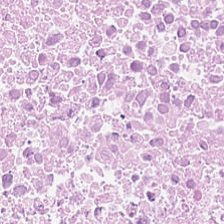Hematoxylin and eosin. 224×224 px tile — Q: What is the predominant tissue type?
A: This is necrotic debris.
